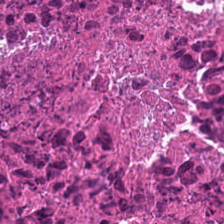Q: What is shown in this field?
A: Debris.
